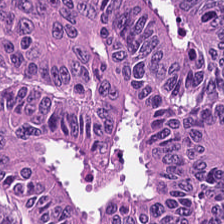H&E stain; brightfield — Q: What is the predominant tissue type?
A: Tumor epithelium.
